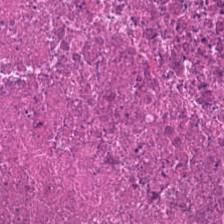Hematoxylin-and-eosin stained section; WSI patch; 0.5 microns per pixel. Predominantly necrotic debris.
